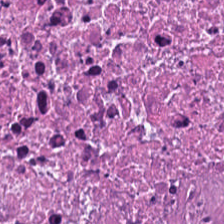Tissue: necrotic debris.
